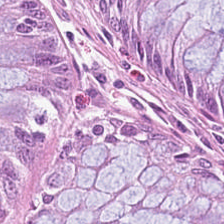224×224 pixel tile · 20× equivalent magnification · H&E — Showing normal colon mucosa.
